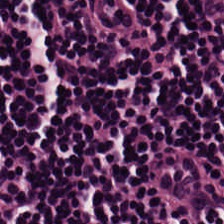Tissue type = lymphocytic infiltrate.
